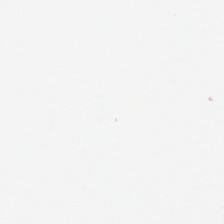Hematoxylin and eosin.
Field content = background.
